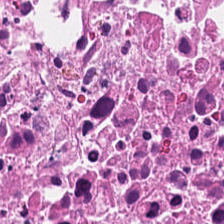H&E-stained tissue section.
The tissue here is cellular debris.
